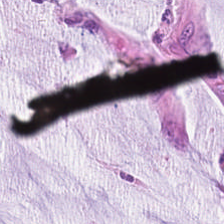The tissue here is extracellular mucin.
